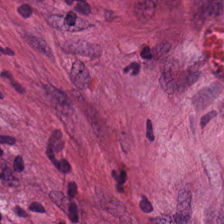Impression → cancer-associated stroma.
